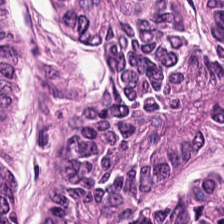H&E. {"tissue_type": "tumor epithelium"}
